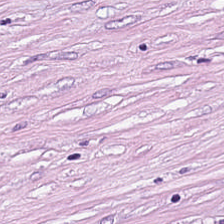H&E; 224×224 px patch; FFPE tissue section. Tissue type = tumor-associated stroma.
